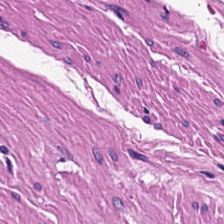Showing smooth-muscle tissue.
